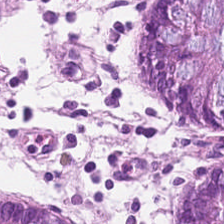H&E stain. This patch shows normal colonic mucosa.
